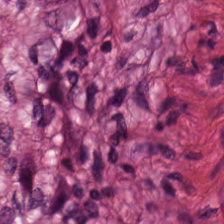Hematoxylin and eosin. 0.5 µm/px.
Q: Classify this patch.
A: The field shows muscularis.
